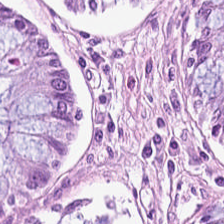FFPE tissue section. Hematoxylin and eosin. Brightfield. Classification — benign colonic mucosa.
